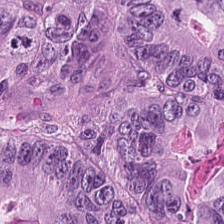H&E-stained tissue section; formalin-fixed paraffin-embedded section — The tissue here is colorectal adenocarcinoma.
